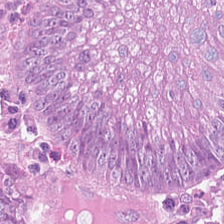0.5 µm/px. 224×224 pixel tile. Hematoxylin and eosin.
Showing adenocarcinoma.
